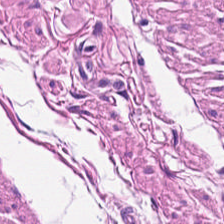Hematoxylin and eosin.
Smooth muscle.
